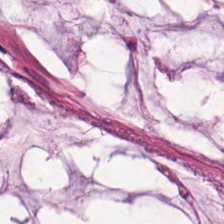Q: What type of tissue is this?
A: It is mucin.
